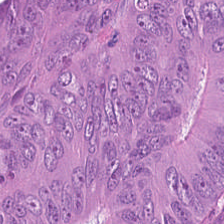Predominantly adenocarcinoma.
